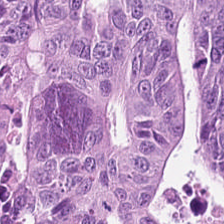Hematoxylin and eosin. 0.5 µm per pixel.
Predominantly colorectal adenocarcinoma epithelium.
